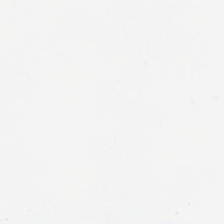Finding → background (no tissue).
